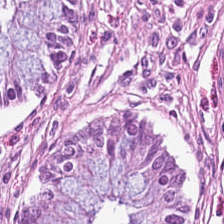Stain: H&E stain.
Tissue class: non-neoplastic colon mucosa.
